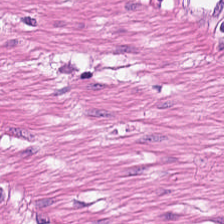Hematoxylin and eosin. Brightfield — Smooth muscle.
